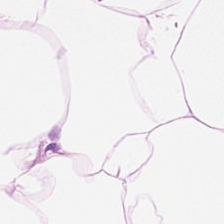Predominant tissue = fat tissue.
